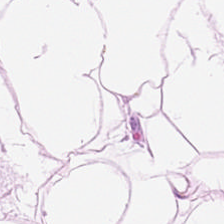Hematoxylin-and-eosin stained section.
Tissue class = adipose tissue.
